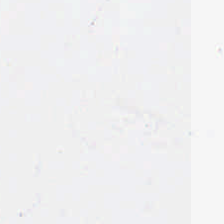Hematoxylin-and-eosin stained section.
{"content": "empty background"}
